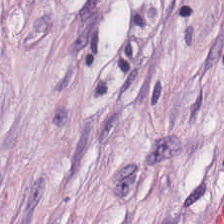The tissue type is cancer-associated stroma.
